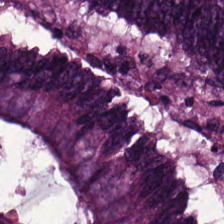Stain: H&E stain.
Tile size: 224×224 px patch.
Classification: malignant epithelium.
